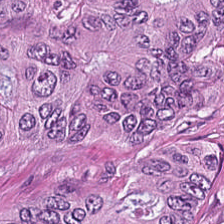Hematoxylin-and-eosin stained section.
The predominant tissue is tumor epithelium.
